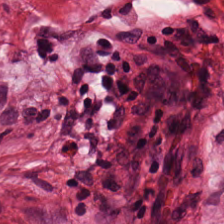Tissue type: smooth muscle.
